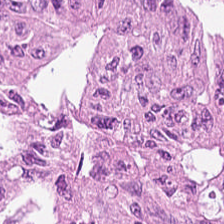H&E-stained tissue section. 224×224 px patch.
This field is colorectal adenocarcinoma.
